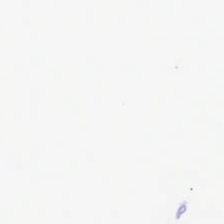224×224 px patch; hematoxylin-and-eosin stained section; FFPE tissue section.
No tissue present; background only.
